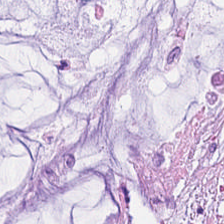Showing mucin.
